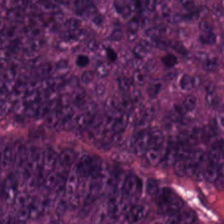H&E. The classification is adenocarcinoma.
